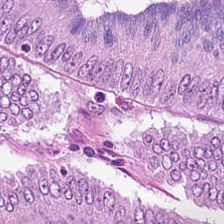WSI patch · 0.5 microns per pixel · H&E stain. Predominantly adenocarcinoma.
